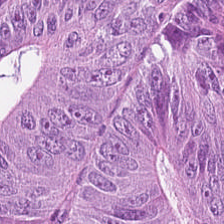20× equivalent magnification · H&E. Predominantly colorectal adenocarcinoma epithelium.
